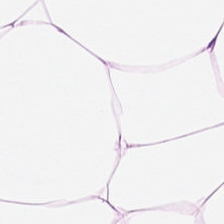Stain: H&E-stained tissue section.
Predominant tissue: fat tissue.
